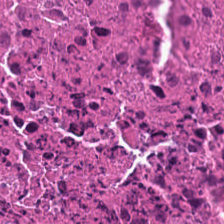Hematoxylin and eosin — Histology → cellular debris.
